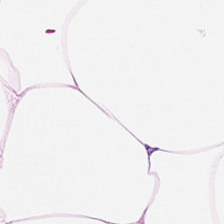Stain: H&E.
Tissue: adipose tissue.
